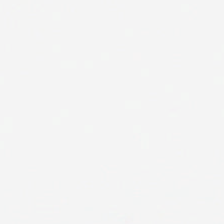Q: What is shown here?
A: It is background.
